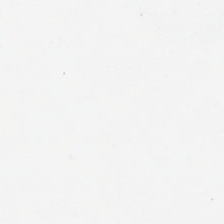224×224 px tile; whole-slide-image patch; hematoxylin-and-eosin stained section — Empty field — background (no tissue).
